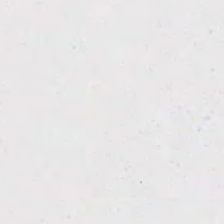H&E. 0.5 microns per pixel. Q: What is shown in this field?
A: The field shows empty background.
